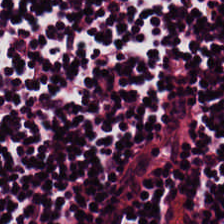20× equivalent magnification. H&E stain. Predominant tissue = lymphoid infiltrate.
